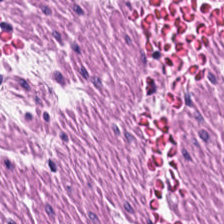Q: Identify the tissue.
A: This is smooth-muscle tissue.
